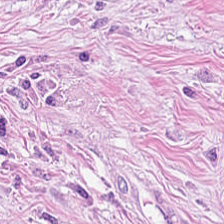H&E-stained tissue section — Q: What is shown here?
A: It is tumor stroma.
